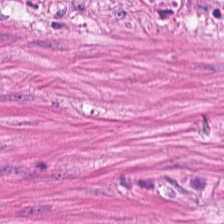Brightfield microscopy. H&E stain. Showing smooth-muscle tissue.
